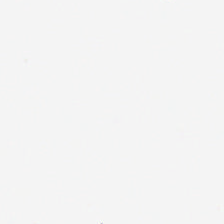H&E-stained tissue section · 224×224 px patch — Background.
